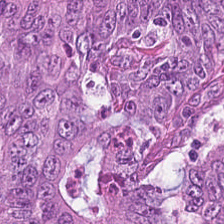Predominant tissue — colorectal adenocarcinoma.
